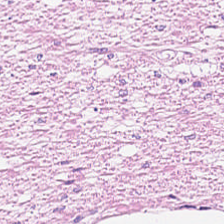Tissue class — muscularis.
